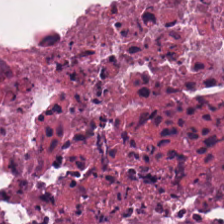Tissue type = debris.
